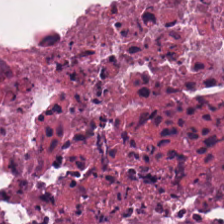Tissue type = debris.
